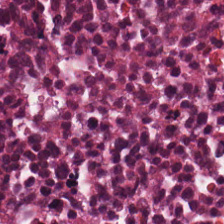H&E stain.
Tissue: debris.
